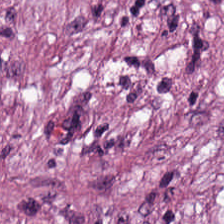This field is tumor-associated stroma.
